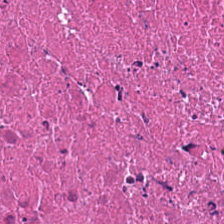H&E-stained tissue section · WSI patch · 0.5 µm per pixel.
Q: What tissue is shown?
A: This is debris.
